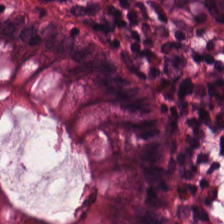H&E. Tissue type = normal colonic mucosa.
